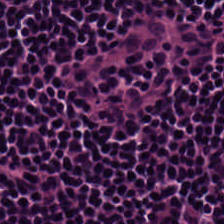Hematoxylin-and-eosin stained section — Showing lymphocytes.
